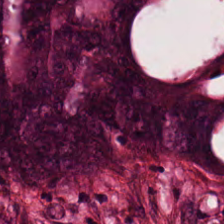Hematoxylin and eosin.
Q: Identify the tissue.
A: This is adenocarcinoma.
